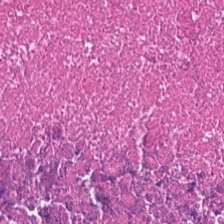The predominant tissue is cellular debris.
